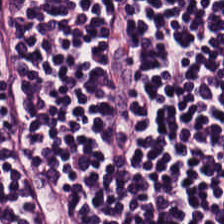Stain: H&E-stained tissue section.
Tissue type: lymphocyte aggregate.
